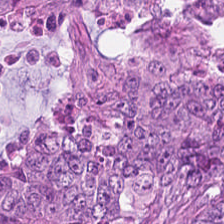Predominant tissue — malignant epithelium.
